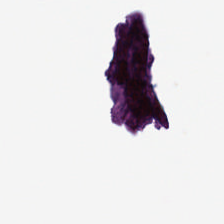FFPE tissue section · H&E stain. No tissue present; background only.
